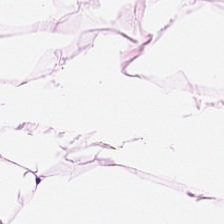0.5 microns per pixel. FFPE tissue section. Hematoxylin-and-eosin stained section. This field is adipose.
